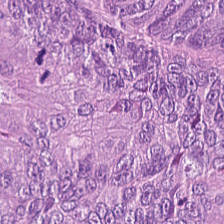FFPE tissue section · 224×224 pixel tile · hematoxylin and eosin — The tissue here is adenocarcinoma.
